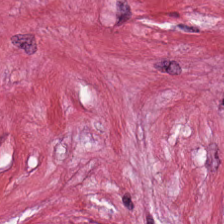Stain: H&E.
Preparation: FFPE.
Acquisition: brightfield microscopy.
Tissue class: tumor stroma.
